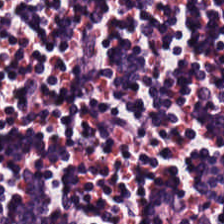Hematoxylin-and-eosin stained section. Tissue type — lymphocytic infiltrate.
